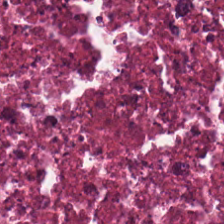H&E; brightfield microscopy; 20× equivalent magnification.
Impression — debris.
